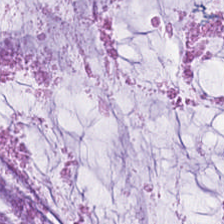The tissue is mucin.
